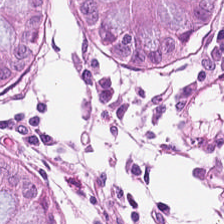H&E · WSI patch · FFPE — {"tissue_type": "normal colonic mucosa"}
